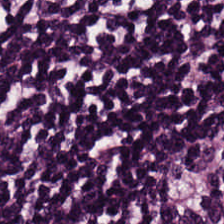H&E-stained tissue section · 0.5 µm/px · whole-slide-image patch.
The predominant tissue is lymphoid infiltrate.
